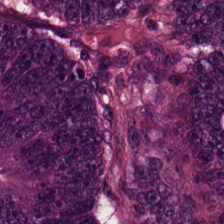Hematoxylin and eosin — Showing adenocarcinoma.
